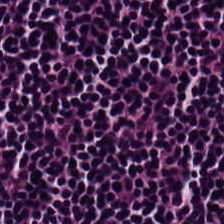Hematoxylin and eosin — Predominantly lymphocyte aggregate.
